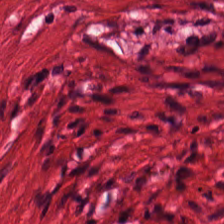Hematoxylin and eosin. Formalin-fixed paraffin-embedded section.
Tissue: smooth muscle.
